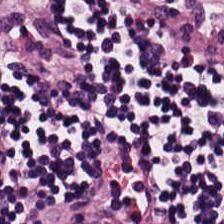Hematoxylin-and-eosin stained section. 224×224 px patch. Showing lymphocytic infiltrate.
